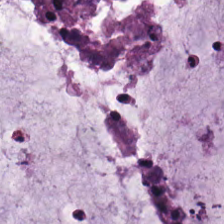Stain: hematoxylin and eosin.
Predominant tissue: extracellular mucin.
